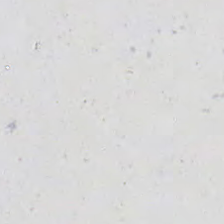Field content — empty background.
